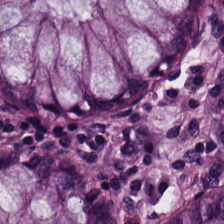Stain: hematoxylin and eosin.
Tile size: 224×224 px patch.
Tissue type: normal colonic mucosa.
